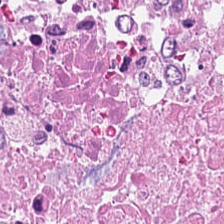H&E stain · FFPE. Finding → necrotic debris.
